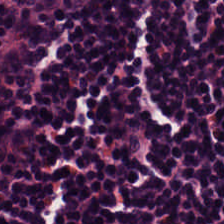H&E-stained tissue section. This patch shows lymphocyte aggregate.
